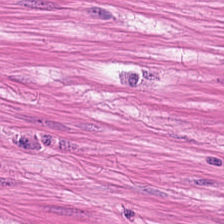0.5 µm per pixel · H&E. Smooth-muscle tissue.
